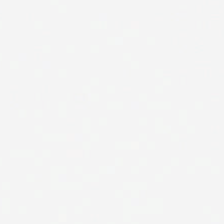H&E-stained tissue section · 224×224 px tile — Empty field — background (no tissue).
